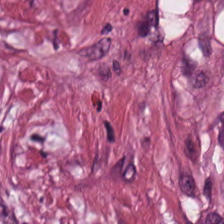Tissue = tumor stroma.
